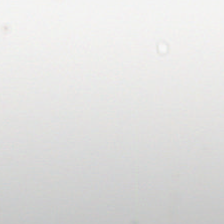20× equivalent magnification · hematoxylin and eosin · FFPE.
Q: What is shown here?
A: The field shows background (no tissue).
